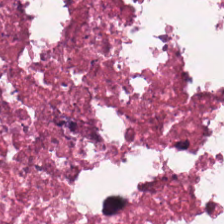H&E-stained tissue section · 0.5 µm/px. Predominant tissue = debris.
